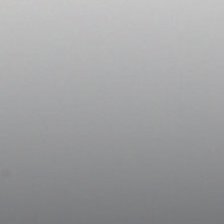Histology — empty background.
